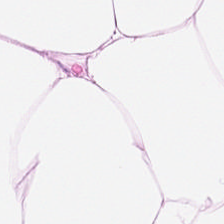H&E-stained tissue section · FFPE tissue section · 224×224 px patch.
Showing adipose tissue.
